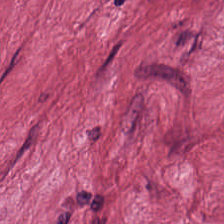Hematoxylin-and-eosin stained section.
Q: Classify this patch.
A: It is tumor stroma.
